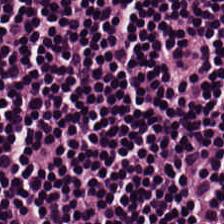Lymphoid infiltrate.
